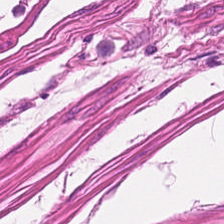Hematoxylin-and-eosin stained section. The tissue here is muscularis.
